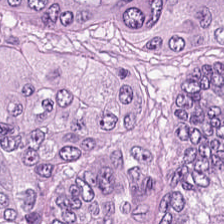This field is colorectal adenocarcinoma epithelium.
